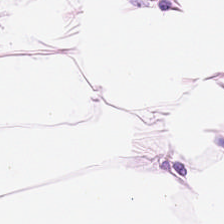Hematoxylin-and-eosin stained section.
Tissue = adipose.
